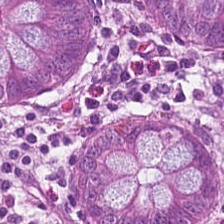Stain: H&E stain.
Tile size: 224×224 px tile.
Tissue class: non-neoplastic colon mucosa.
